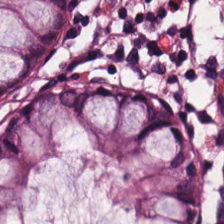Stain: H&E.
Resolution: 0.5 µm per pixel.
Tissue type: benign colonic mucosa.
